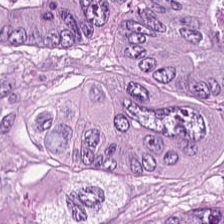Hematoxylin-and-eosin stained section. The classification is tumor epithelium.
